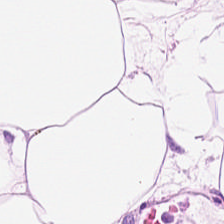This patch shows adipose tissue.
